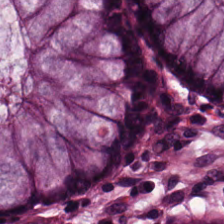Whole-slide-image patch · formalin-fixed paraffin-embedded section · H&E stain — This patch shows non-neoplastic colon mucosa.
